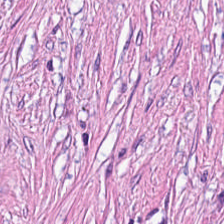H&E-stained tissue section; 224×224 pixel tile.
Cancer-associated stroma.
